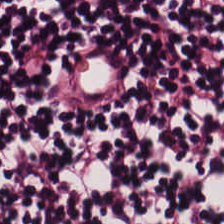Whole-slide-image patch · FFPE tissue section · H&E-stained tissue section — The predominant tissue is lymphocytes.
